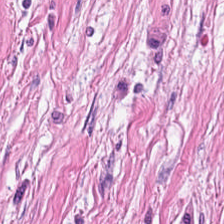Hematoxylin-and-eosin stained section · 0.5 µm/px. Predominantly tumor stroma.
